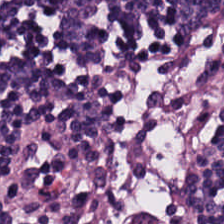H&E-stained tissue section — Showing lymphocytic infiltrate.
